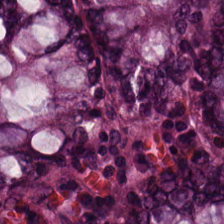Hematoxylin-and-eosin stained section. The tissue type is non-neoplastic colon mucosa.
